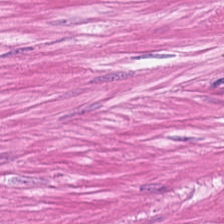H&E-stained tissue section. Tissue = muscularis.
